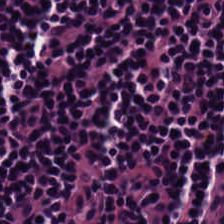224×224 px patch · H&E stain — This patch shows lymphocyte aggregate.
